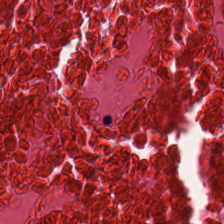Hematoxylin-and-eosin stained section — Q: What tissue type is shown here?
A: The field shows necrotic debris.
